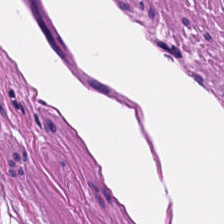H&E stain. Predominantly smooth-muscle tissue.
